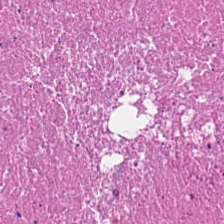Stain: H&E.
Tissue class: necrotic debris.
